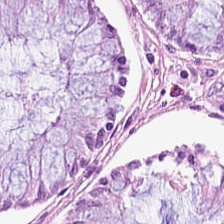Stain: H&E-stained tissue section.
Acquisition: brightfield microscopy.
Predominant tissue: non-neoplastic colon mucosa.
